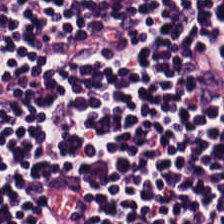0.5 microns per pixel; H&E. {"tissue_type": "lymphocyte aggregate"}
